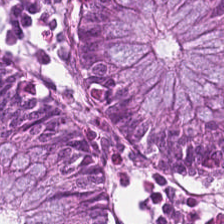224×224 px patch · H&E stain.
The predominant tissue is non-neoplastic colon mucosa.
